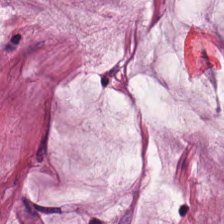0.5 µm/px; hematoxylin-and-eosin stained section. The tissue here is mucus.
